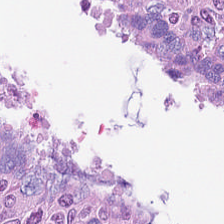H&E stain.
The tissue class is colorectal adenocarcinoma epithelium.
